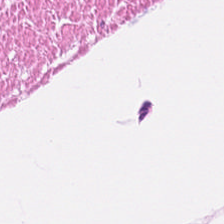H&E stain. FFPE tissue section.
{"tissue_type": "smooth-muscle tissue"}
